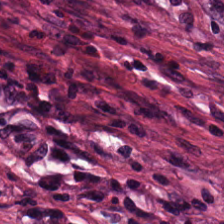Stain: hematoxylin and eosin.
Tissue: desmoplastic stroma.
